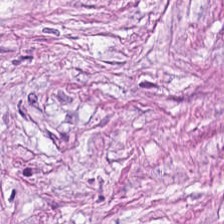Stain: H&E-stained tissue section.
Tissue class: tumor-associated stroma.
